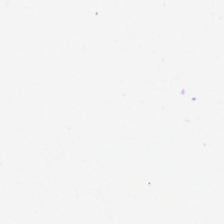Background — no tissue in this field.
